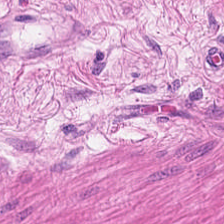224×224 pixel tile · hematoxylin and eosin. Q: What is shown here?
A: Smooth-muscle tissue.
